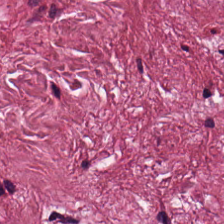Hematoxylin-and-eosin stained section.
Q: What is shown here?
A: The field shows tumor stroma.
